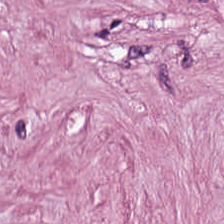0.5 µm per pixel; brightfield microscopy; hematoxylin-and-eosin stained section.
{"tissue_type": "tumor stroma"}
